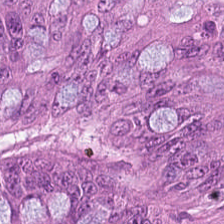H&E stain.
The tissue is colorectal adenocarcinoma epithelium.
